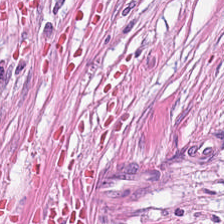Finding — tumor stroma.
